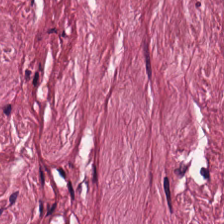Brightfield microscopy; H&E. Q: What type of tissue is this?
A: It is cancer-associated stroma.
